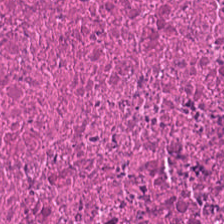Hematoxylin-and-eosin stained section · 0.5 µm/px. The predominant tissue is cellular debris.
